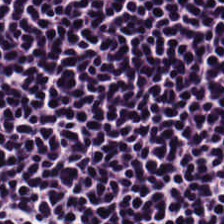H&E. Brightfield. FFPE. The tissue class is lymphoid infiltrate.
